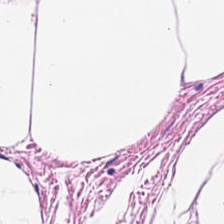224×224 pixel tile; H&E-stained tissue section.
Predominant tissue — adipose tissue.
